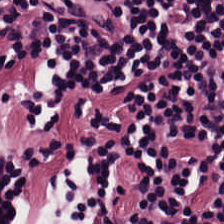Formalin-fixed paraffin-embedded section · hematoxylin-and-eosin stained section — Q: What tissue type is shown here?
A: It is lymphocytic infiltrate.
